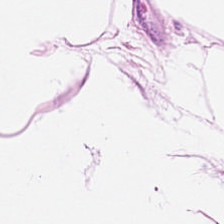224×224 pixel tile · H&E stain · WSI patch.
This patch shows adipose tissue.
